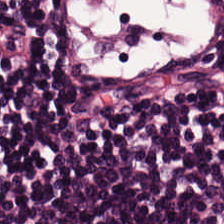Stain: H&E stain.
Predominant tissue: lymphoid infiltrate.
